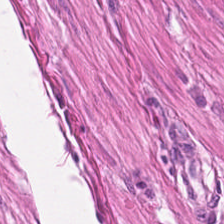Hematoxylin-and-eosin stained section. 0.5 µm per pixel. Whole-slide-image patch. The tissue is smooth muscle.
